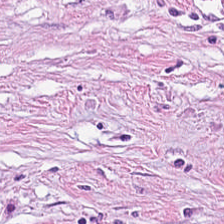0.5 microns per pixel · 224×224 pixel tile · hematoxylin and eosin. Q: Classify this patch.
A: This is desmoplastic stroma.
